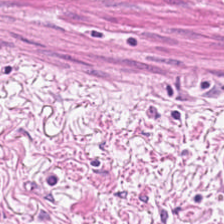H&E. This field is smooth-muscle tissue.
